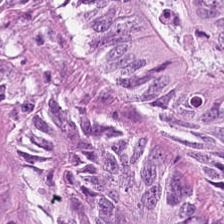H&E-stained tissue section — The tissue class is adenocarcinoma.
